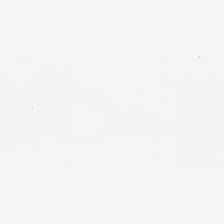Hematoxylin-and-eosin stained section. Formalin-fixed paraffin-embedded section — Background.
